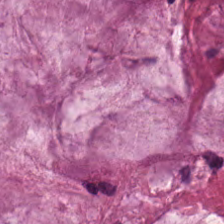Finding → mucin.
